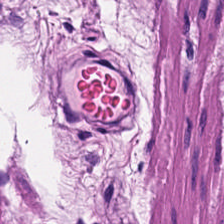Hematoxylin-and-eosin stained section.
Tissue: muscularis.
